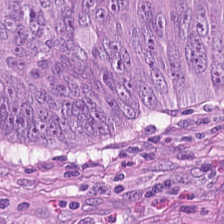H&E stain. Predominant tissue = colorectal adenocarcinoma epithelium.
